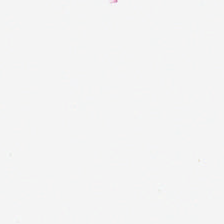H&E stain — Q: What is shown here?
A: Empty background.
